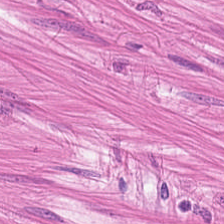Hematoxylin-and-eosin stained section.
Q: What tissue type is shown here?
A: Muscularis.
